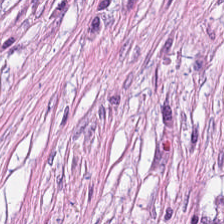Formalin-fixed paraffin-embedded section · 224×224 px tile · hematoxylin-and-eosin stained section — The tissue type is tumor-associated stroma.
